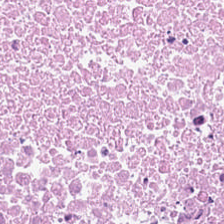FFPE · hematoxylin-and-eosin stained section. Predominant tissue — debris.
